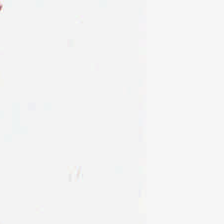No tissue present; background only.
